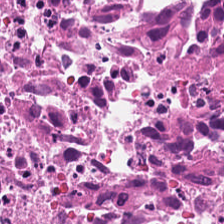FFPE tissue section · H&E stain.
Q: What type of tissue is this?
A: The field shows cellular debris.
